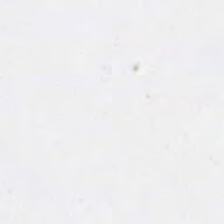Hematoxylin and eosin — Empty field — no tissue.
